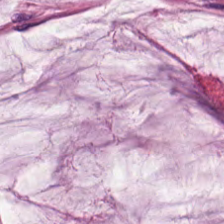Hematoxylin and eosin.
Histology → extracellular mucin.
